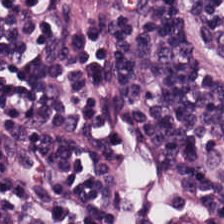Stain: H&E.
Resolution: 0.5 µm per pixel.
Predominant tissue: lymphocytes.
